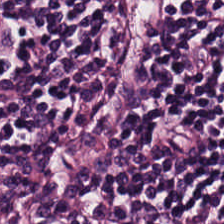H&E stain — Predominant tissue: lymphoid infiltrate.
